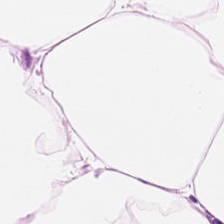Whole-slide-image patch. Hematoxylin and eosin. Showing fat tissue.
